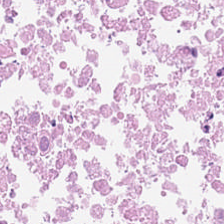H&E stain.
Predominantly necrotic debris.
